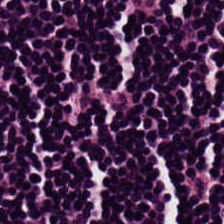H&E. 224×224 pixel tile. 0.5 µm/px — Tissue — lymphocyte aggregate.
